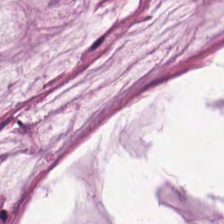Stain: hematoxylin-and-eosin stained section.
Tile size: 224×224 px patch.
Tissue type: mucin.
